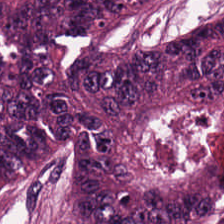Q: Classify this patch.
A: This is malignant epithelium.
